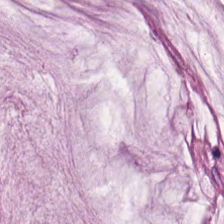H&E. Q: What tissue is shown?
A: It is extracellular mucin.
